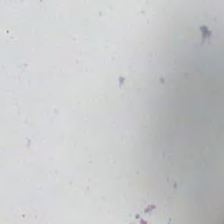H&E stain.
Content — no tissue.
